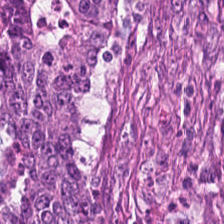H&E-stained section; the field shows colorectal adenocarcinoma epithelium.
